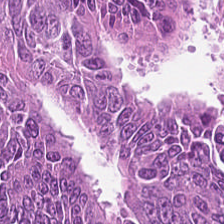H&E stain — The tissue here is adenocarcinoma.
